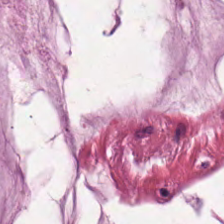The predominant tissue is mucin.
